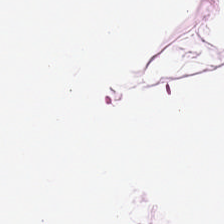H&E stain; 0.5 µm/px — {"tissue_type": "adipose tissue"}
